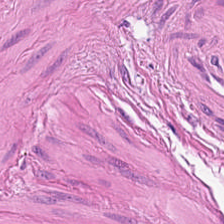H&E stain.
Predominantly smooth muscle.
